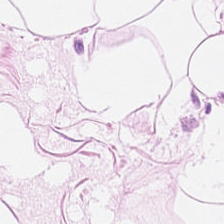0.5 microns per pixel; hematoxylin and eosin; formalin-fixed paraffin-embedded section — Histology → adipose.
